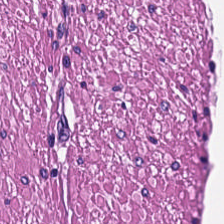H&E stain; 0.5 µm/px; 224×224 px patch. This field is smooth-muscle tissue.
